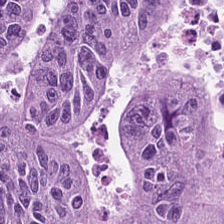Hematoxylin-and-eosin stained section. 224×224 pixel tile. Formalin-fixed paraffin-embedded section. The tissue here is tumor epithelium.
